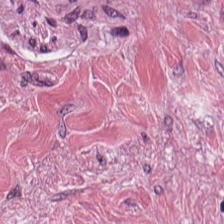Stain: H&E-stained tissue section.
Acquisition: WSI patch.
Tissue class: desmoplastic stroma.
